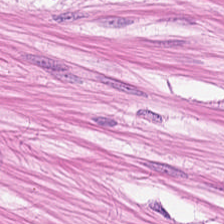H&E-stained section; the field shows smooth-muscle tissue.
